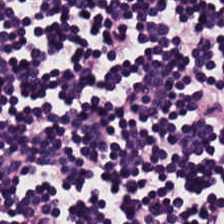H&E-stained tissue section; 0.5 µm/px; formalin-fixed paraffin-embedded section — This field is lymphoid infiltrate.
